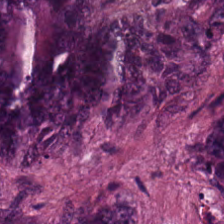Hematoxylin and eosin · brightfield microscopy · formalin-fixed paraffin-embedded section. Q: What is shown in this field?
A: Colorectal adenocarcinoma epithelium.
